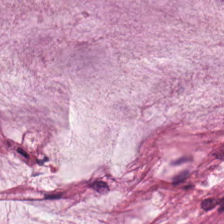The predominant tissue is mucus.
